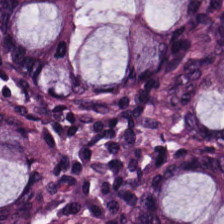H&E-stained tissue section.
This field is normal colon mucosa.
